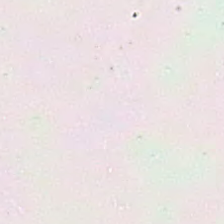Hematoxylin-and-eosin stained section; FFPE tissue section. Content — background.
